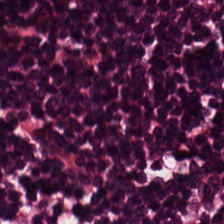H&E stain — Q: What tissue is shown?
A: The field shows lymphoid infiltrate.
